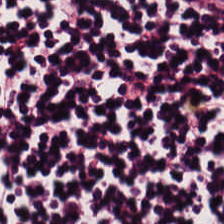224×224 pixel tile · H&E · brightfield. Q: What is the predominant tissue type?
A: The field shows lymphocytic infiltrate.
